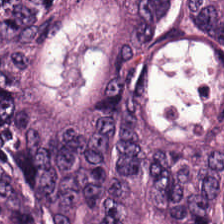H&E stain.
Classification — adenocarcinoma.
